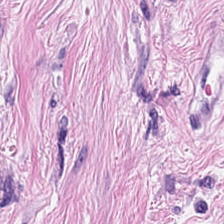H&E-stained tissue section; 0.5 microns per pixel.
The tissue is tumor stroma.
